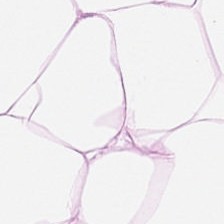H&E-stained tissue section. Predominant tissue: fat tissue.
